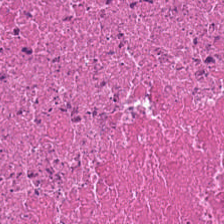The predominant tissue is cellular debris.
